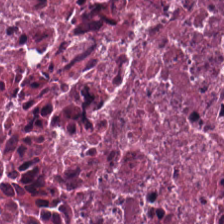Hematoxylin-and-eosin stained section · 0.5 µm per pixel · WSI patch — Showing cellular debris.
